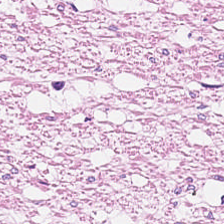H&E. Tissue class — smooth muscle.
